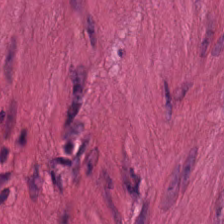Tissue class = smooth-muscle tissue.
